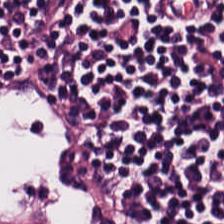224×224 px tile; H&E — Histology → lymphocyte aggregate.
